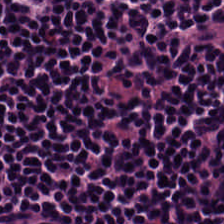20× equivalent magnification · H&E — Tissue — lymphocytic infiltrate.
